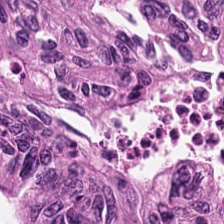0.5 µm per pixel; 224×224 px tile; hematoxylin and eosin — Predominantly adenocarcinoma.
